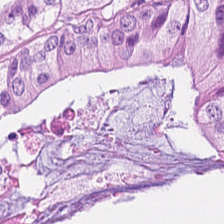Hematoxylin and eosin. Q: What is shown here?
A: Tumor epithelium.
